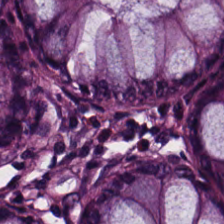Brightfield microscopy · H&E. Q: Classify this patch.
A: It is non-neoplastic colon mucosa.
